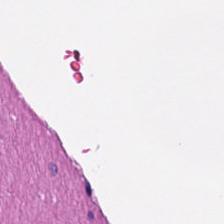This patch shows smooth muscle.
